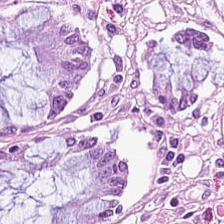224×224 pixel tile. FFPE. H&E-stained tissue section. Benign colonic mucosa.
